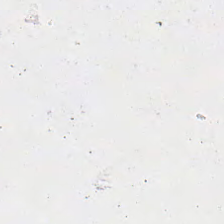H&E stain.
Background.
